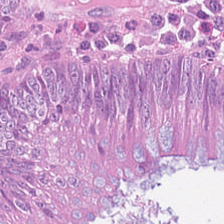Hematoxylin and eosin. Impression → malignant epithelium.
